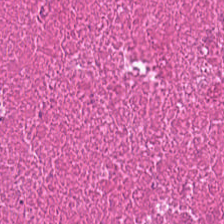Hematoxylin and eosin. This field is necrotic debris.
